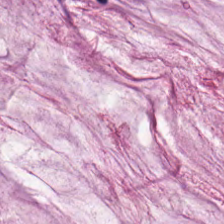The classification is mucus.
